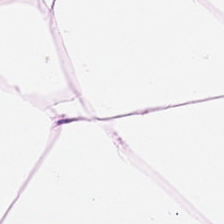H&E-stained tissue section — This patch shows adipocytes.
